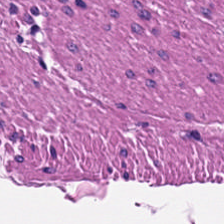Finding → smooth-muscle tissue.
